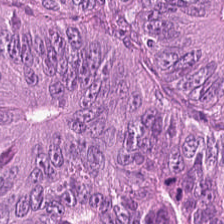Finding → tumor epithelium.
